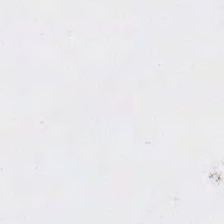Stain: H&E.
Classification: no tissue.
